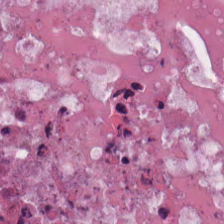Formalin-fixed paraffin-embedded section; H&E. Q: What type of tissue is this?
A: It is cellular debris.
